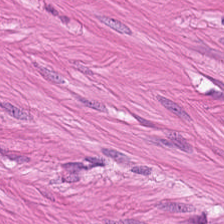H&E-stained section; the field shows smooth-muscle tissue.
